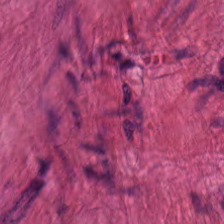Hematoxylin and eosin.
This patch shows muscularis.
